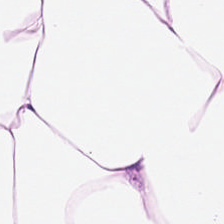H&E. Predominantly adipose.
